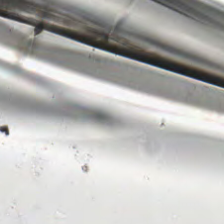H&E-stained tissue section. {"content": "empty background"}
